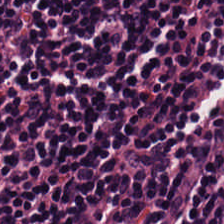H&E stain; 224×224 pixel tile — Tissue type = lymphocytic infiltrate.
